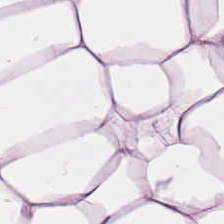0.5 µm/px; hematoxylin and eosin.
Histology → adipocytes.
